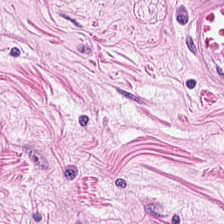H&E stain. Predominantly smooth muscle.
